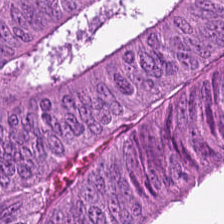H&E-stained tissue section. Q: What tissue is shown?
A: Malignant epithelium.
